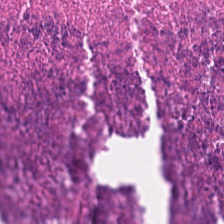Q: Classify this patch.
A: It is necrotic debris.
